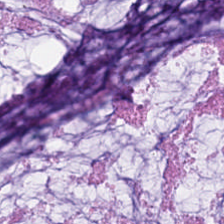Hematoxylin and eosin; 0.5 microns per pixel — Impression — mucin.
